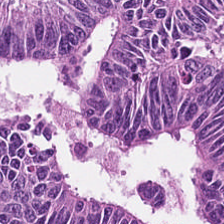H&E — The tissue here is colorectal adenocarcinoma.
